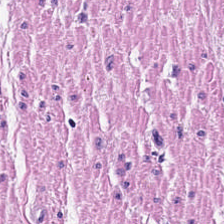H&E stain — Predominant tissue — smooth muscle.
